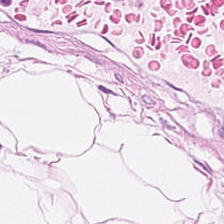224×224 px patch. Hematoxylin and eosin. Brightfield microscopy.
Predominantly adipose tissue.
